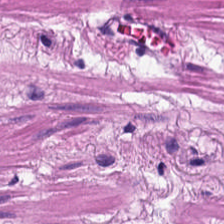Hematoxylin and eosin; 0.5 microns per pixel; formalin-fixed paraffin-embedded section — Showing smooth muscle.
